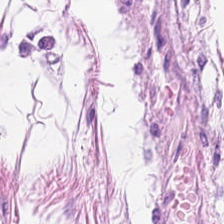H&E.
Tissue class = adipose.
